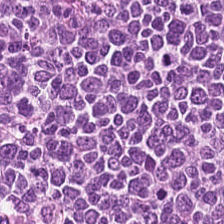H&E — lymphocytes.
